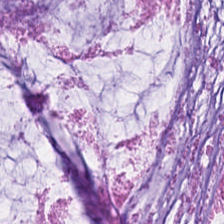H&E.
Q: What is the predominant tissue type?
A: This is extracellular mucin.
